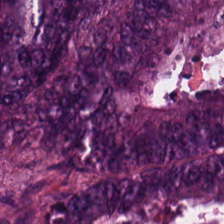H&E stain. This field is colorectal adenocarcinoma epithelium.
